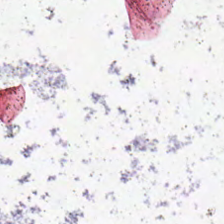Stain: hematoxylin and eosin.
Preparation: formalin-fixed paraffin-embedded section.
Field content: empty background.
